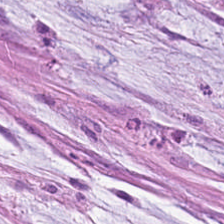0.5 microns per pixel; hematoxylin and eosin; whole-slide-image patch — Q: Identify the tissue.
A: Mucus.
